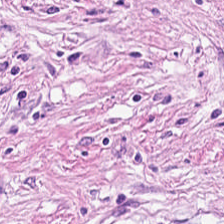Stain: H&E.
Tissue: tumor-associated stroma.
